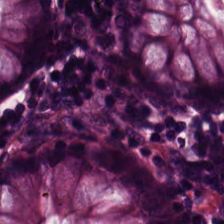Predominantly benign colonic mucosa.
